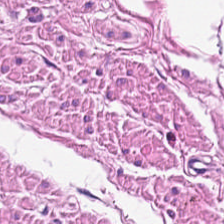Predominant tissue — smooth-muscle tissue.
